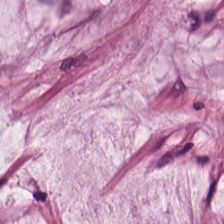H&E stain. Finding — mucin.
